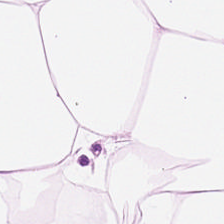H&E — adipose.
